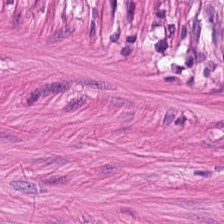H&E.
Predominantly smooth-muscle tissue.
